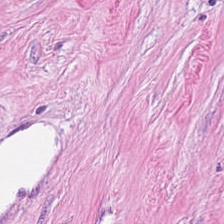Brightfield. Hematoxylin and eosin.
The tissue here is tumor-associated stroma.
